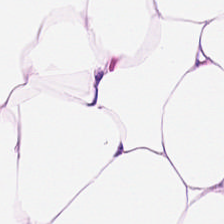H&E-stained tissue section.
The predominant tissue is adipocytes.
